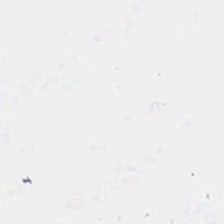H&E.
Content = background (no tissue).
